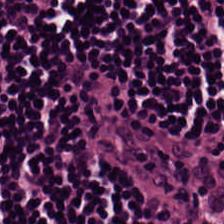Hematoxylin and eosin · WSI patch · 20× equivalent magnification. The tissue here is lymphocyte aggregate.
